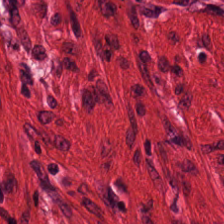H&E stain. Q: What is shown in this field?
A: Muscularis.
